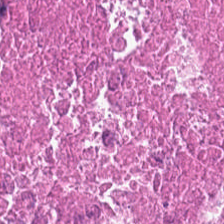H&E-stained tissue section. Q: What is shown in this field?
A: The field shows cellular debris.
